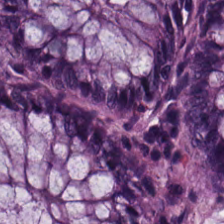This patch shows normal colon mucosa.
